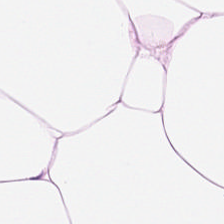Hematoxylin-and-eosin stained section. Q: What tissue is shown?
A: This is adipocytes.
